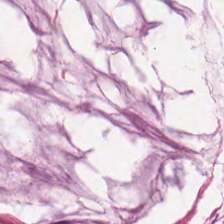Stain: hematoxylin-and-eosin stained section.
Tile size: 224×224 px patch.
Tissue: mucin.
